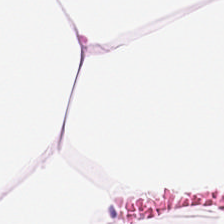FFPE tissue section. Whole-slide-image patch. H&E. {"tissue_type": "adipose tissue"}
